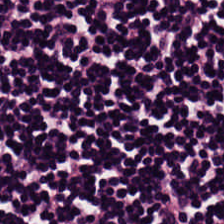Stain: H&E-stained tissue section.
Tissue: lymphocyte aggregate.
